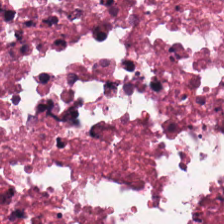Brightfield; hematoxylin and eosin. The tissue is cellular debris.
